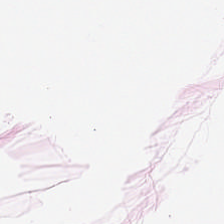Hematoxylin-and-eosin stained section — Q: What tissue is shown?
A: Adipose tissue.
